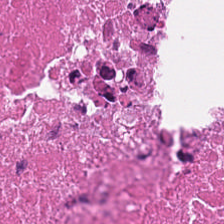224×224 pixel tile. 0.5 µm/px. Hematoxylin and eosin. Tissue = cellular debris.
